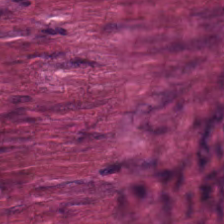H&E-stained tissue section. FFPE. Classification: tumor-associated stroma.
